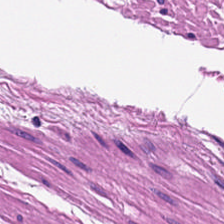H&E. 224×224 px patch. 0.5 µm/px.
The tissue here is muscularis.
